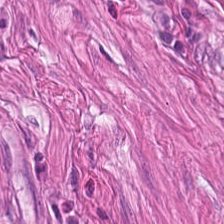Tissue type — smooth muscle.
